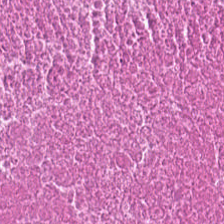Predominantly necrotic debris.
